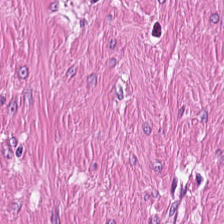224×224 pixel tile. Formalin-fixed paraffin-embedded section. Hematoxylin-and-eosin stained section. This field is smooth-muscle tissue.
